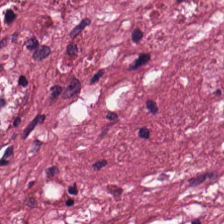H&E. 224×224 px patch.
Predominant tissue — tumor-associated stroma.
